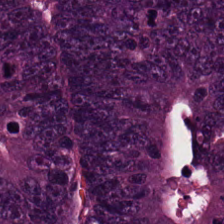Brightfield; hematoxylin and eosin; 0.5 microns per pixel. This field is malignant epithelium.
